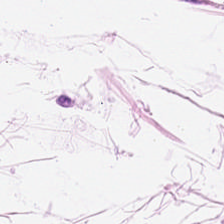Brightfield microscopy. H&E — Predominantly adipocytes.
